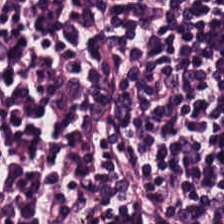Q: What is shown here?
A: This is lymphoid infiltrate.
